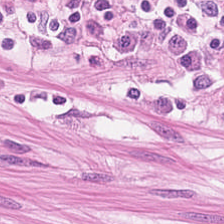Smooth-muscle tissue.
